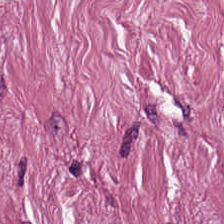Stain: H&E stain.
Tissue class: tumor-associated stroma.
